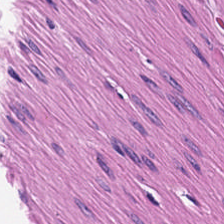Formalin-fixed paraffin-embedded section. Hematoxylin and eosin. Tissue class — smooth muscle.
